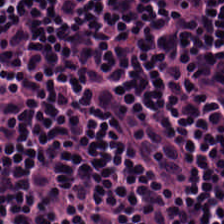Predominantly lymphocytes.
